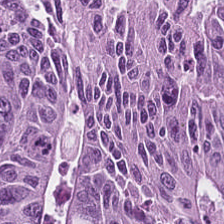Hematoxylin-and-eosin stained section — Q: Identify the tissue.
A: This is colorectal adenocarcinoma epithelium.
